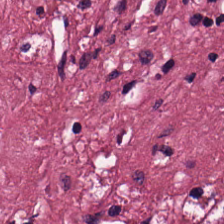Classification — cancer-associated stroma.
